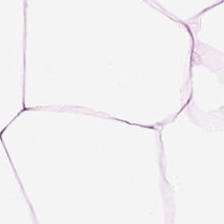Q: What tissue type is shown here?
A: Adipocytes.
